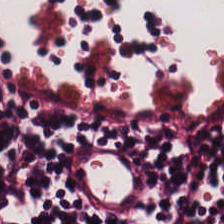Brightfield microscopy. FFPE. H&E-stained tissue section — This patch shows lymphoid infiltrate.
